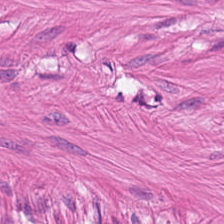H&E — Tissue type: smooth-muscle tissue.
